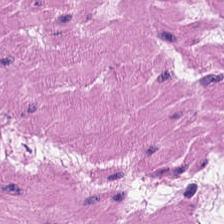0.5 microns per pixel. FFPE. H&E — The predominant tissue is muscularis.
